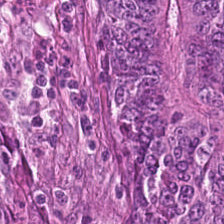Q: Identify the tissue.
A: It is tumor epithelium.
